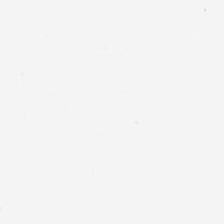Stain: H&E.
Content: no tissue.
